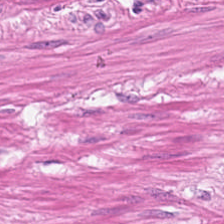H&E-stained tissue section. Tissue class = smooth-muscle tissue.
